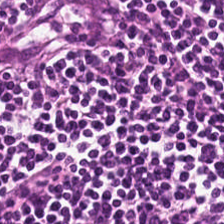Stain: H&E-stained tissue section.
Tissue: lymphocytes.
